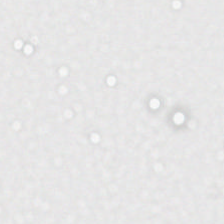Brightfield; hematoxylin-and-eosin stained section; 0.5 microns per pixel. Finding — empty background.
